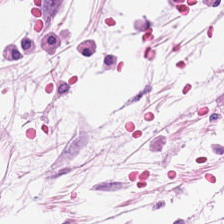H&E-stained section; the field shows adipocytes.
